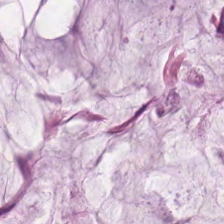H&E — Impression → extracellular mucin.
